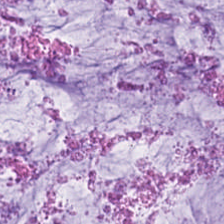H&E. Brightfield microscopy.
Predominant tissue — mucin.
